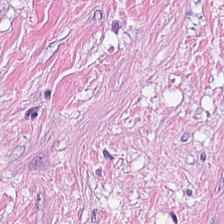H&E-stained tissue section showing cancer-associated stroma.
